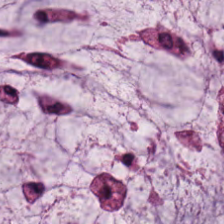H&E stain. Brightfield microscopy — The tissue is mucus.
